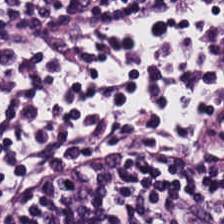Hematoxylin and eosin — Tissue — lymphoid infiltrate.
